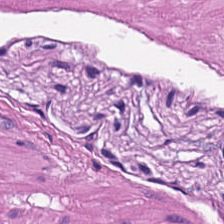Hematoxylin and eosin — Q: What type of tissue is this?
A: This is muscularis.
